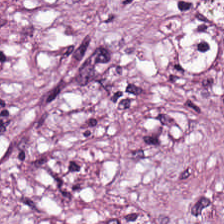H&E-stained tissue section.
This patch shows tumor-associated stroma.
